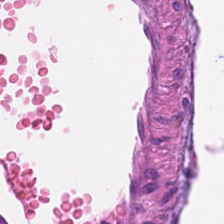Q: Identify the tissue.
A: The field shows smooth-muscle tissue.
